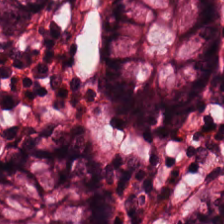Stain: H&E stain.
Resolution: 0.5 µm per pixel.
Predominant tissue: normal colon mucosa.
